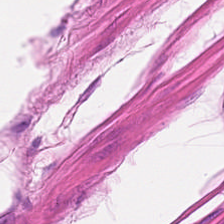Q: What is the predominant tissue type?
A: The field shows smooth muscle.
